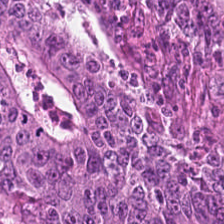Hematoxylin and eosin. Tissue class — tumor epithelium.
